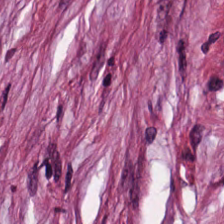H&E stain — Showing desmoplastic stroma.
